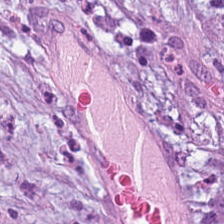H&E stain.
{"tissue_type": "cancer-associated stroma"}
